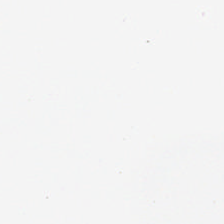Hematoxylin-and-eosin stained section · FFPE tissue section — Finding — background (no tissue).
